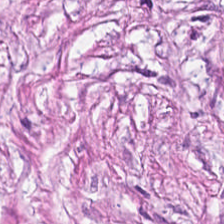Tissue class — cancer-associated stroma.
